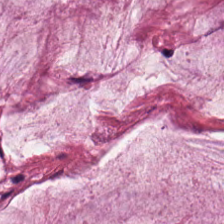H&E; brightfield; FFPE. Finding → mucus.
